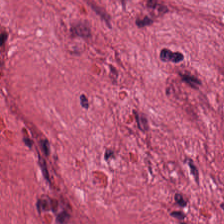Hematoxylin-and-eosin stained section.
The tissue is desmoplastic stroma.
